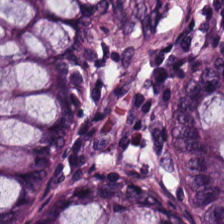H&E stain; 0.5 microns per pixel; formalin-fixed paraffin-embedded section.
Showing benign colonic mucosa.
